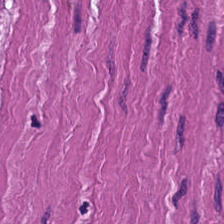Hematoxylin and eosin; 224×224 px patch. Predominant tissue = muscularis.
